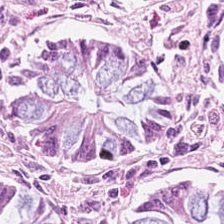Hematoxylin-and-eosin stained section.
Showing normal colon mucosa.
